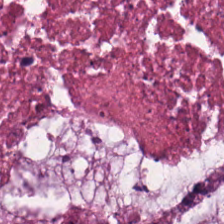Hematoxylin-and-eosin stained section. 0.5 microns per pixel — {"tissue_type": "debris"}
